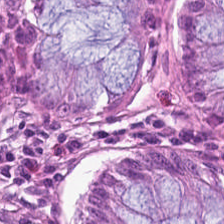Hematoxylin-and-eosin stained section — Benign colonic mucosa.
